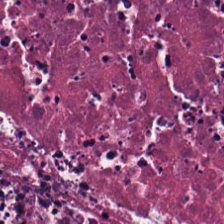Hematoxylin-and-eosin stained section.
Tissue class — necrotic debris.
